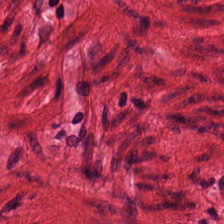Histology → muscularis.
